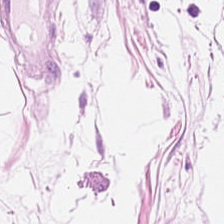Formalin-fixed paraffin-embedded section · hematoxylin and eosin. Predominantly fat tissue.
